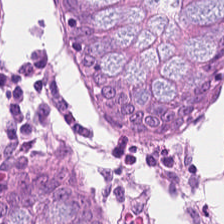H&E-stained tissue section. Histology → normal colonic mucosa.
